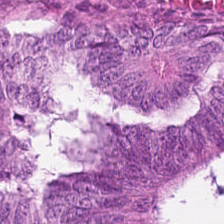Hematoxylin and eosin. This patch shows malignant epithelium.
